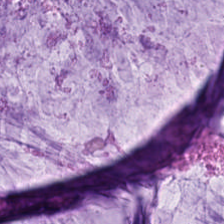Brightfield microscopy. H&E stain — Tissue = mucus.
